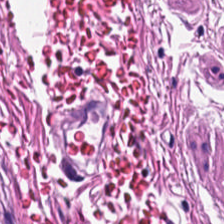224×224 px tile; brightfield microscopy; hematoxylin-and-eosin stained section. This patch shows muscularis.
